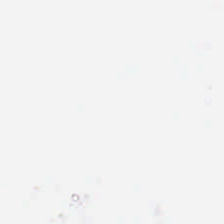224×224 pixel tile · H&E stain · FFPE tissue section. This field is background (no tissue).
